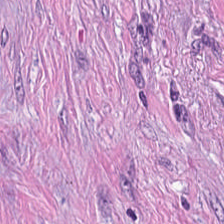H&E-stained tissue section.
Tumor-associated stroma.
